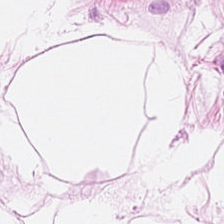Formalin-fixed paraffin-embedded section; H&E stain — Tissue type: adipose.
